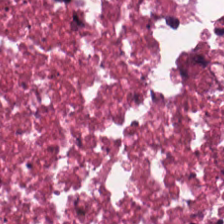Stain: hematoxylin and eosin.
Predominant tissue: necrotic debris.
